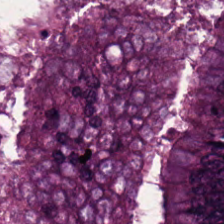The predominant tissue is colorectal adenocarcinoma.
